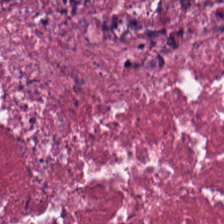H&E patch showing necrotic debris.
